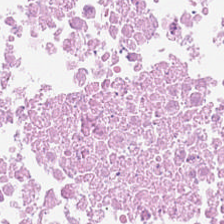Predominant tissue: cellular debris.
